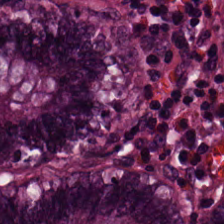Q: What is shown in this field?
A: It is benign colonic mucosa.
